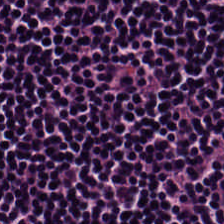Hematoxylin and eosin.
Histology — lymphocyte aggregate.
